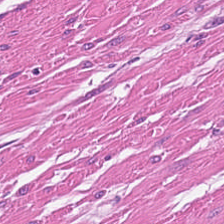H&E.
This field is smooth muscle.
